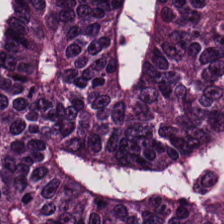Hematoxylin and eosin. This field is adenocarcinoma.
